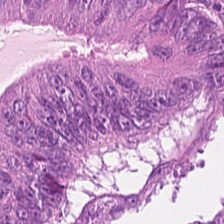Stain: H&E stain.
Acquisition: WSI patch.
Tissue type: colorectal adenocarcinoma.
